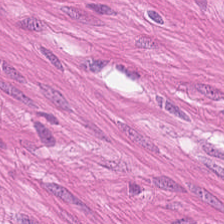H&E stain — The predominant tissue is muscularis.
